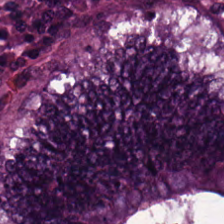Brightfield microscopy · 224×224 px tile · H&E stain.
This field is tumor epithelium.
